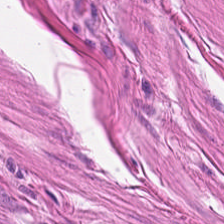H&E.
Classification = smooth muscle.
